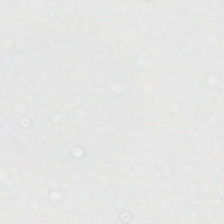H&E stain.
This patch shows no tissue.
